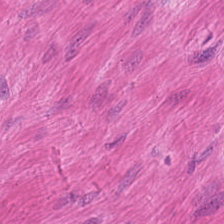H&E-stained tissue section · whole-slide-image patch · 0.5 µm per pixel.
Finding — muscularis.
